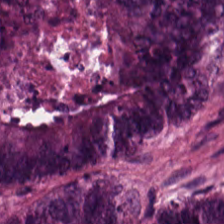H&E-stained section; the field shows tumor epithelium.
